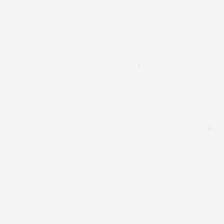H&E stain. This patch shows empty background.
